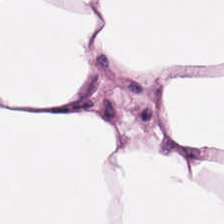Q: What is the predominant tissue type?
A: The field shows adipocytes.
